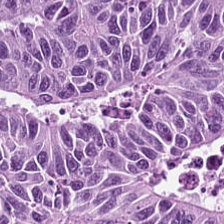FFPE tissue section. 224×224 pixel tile. Hematoxylin and eosin — The classification is tumor epithelium.
